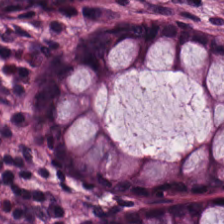H&E stain — Predominant tissue: benign colonic mucosa.
